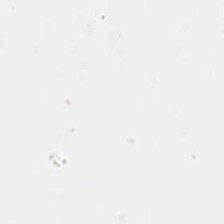The field content is no tissue.
